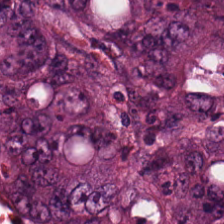Stain: H&E-stained tissue section.
Tissue: colorectal adenocarcinoma epithelium.
